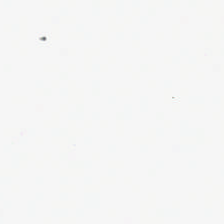H&E — This patch shows no tissue.
